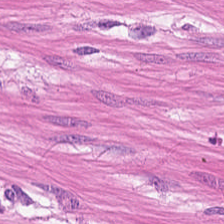0.5 µm per pixel. Hematoxylin and eosin — Tissue type: muscularis.
